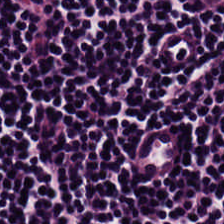H&E-stained section; the field shows lymphocyte aggregate.
